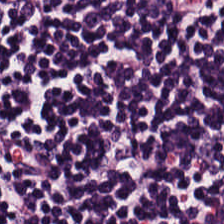FFPE; hematoxylin-and-eosin stained section; 224×224 pixel tile.
This patch shows lymphocyte aggregate.
